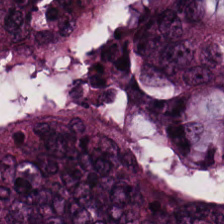Hematoxylin and eosin — Q: Identify the tissue.
A: It is malignant epithelium.
